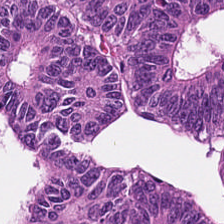H&E-stained tissue section — Tissue class: colorectal adenocarcinoma epithelium.
